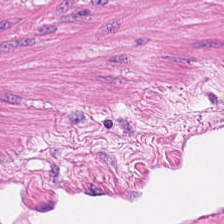H&E-stained tissue section. Showing smooth muscle.
